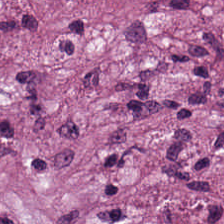H&E. Impression → tumor-associated stroma.
